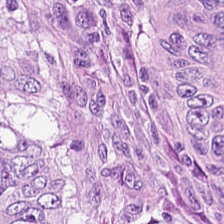224×224 pixel tile; hematoxylin-and-eosin stained section — Q: Identify the tissue.
A: It is tumor epithelium.
